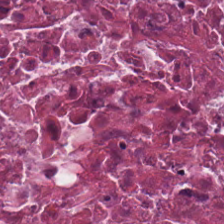Stain: H&E stain.
Predominant tissue: necrotic debris.
